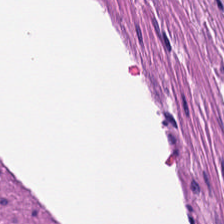H&E-stained tissue section.
Smooth muscle.
